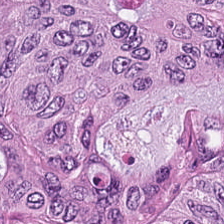Hematoxylin-and-eosin stained section — Q: What type of tissue is this?
A: The field shows tumor epithelium.
